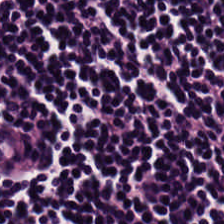H&E; 224×224 px tile — Predominantly lymphocyte aggregate.
